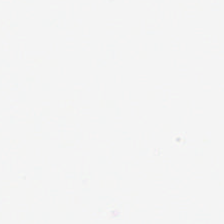Hematoxylin-and-eosin stained section.
Q: What is shown here?
A: The field shows background (no tissue).
